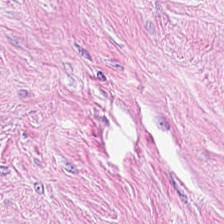0.5 microns per pixel · H&E-stained tissue section. This field is desmoplastic stroma.
